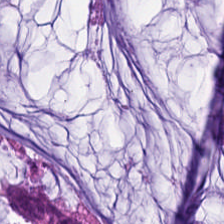Q: What is shown in this field?
A: This is mucus.
